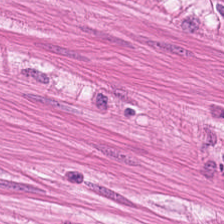Hematoxylin-and-eosin stained section. Tissue type: muscularis.
